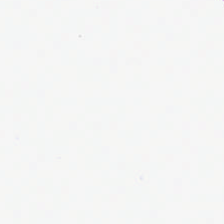H&E stain. Classification: empty background.
